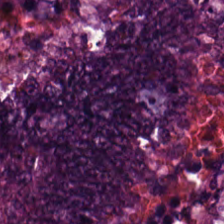H&E-stained tissue section. 0.5 µm/px. Q: Identify the tissue.
A: Adenocarcinoma.
